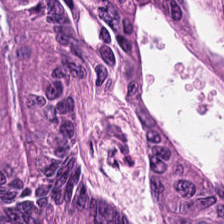Whole-slide-image patch. H&E — Tissue class: tumor epithelium.
